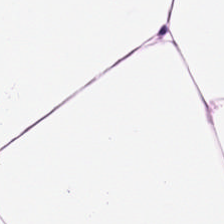224×224 px tile; H&E.
Tissue: adipose.
